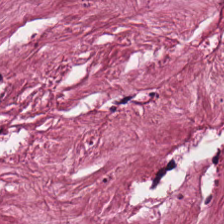Hematoxylin and eosin.
Q: What does this patch show?
A: It is tumor-associated stroma.
